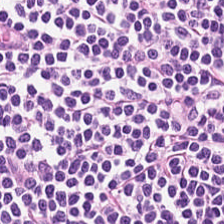Hematoxylin-and-eosin stained section. Tissue = lymphocytes.
